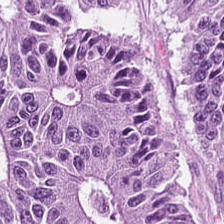FFPE. H&E. 224×224 px patch — Histology — colorectal adenocarcinoma epithelium.
